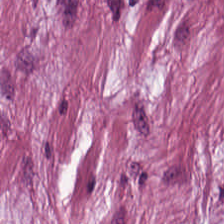Stain: hematoxylin and eosin.
Tissue type: tumor-associated stroma.
